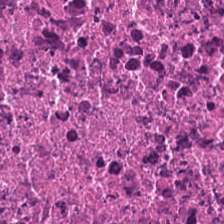Hematoxylin-and-eosin stained section — {"tissue_type": "necrotic debris"}
